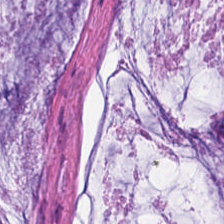224×224 px tile · hematoxylin and eosin · brightfield microscopy — The predominant tissue is mucin.
